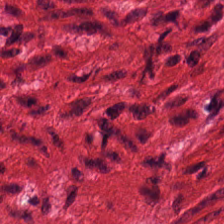Hematoxylin and eosin — Q: What type of tissue is this?
A: Smooth-muscle tissue.
